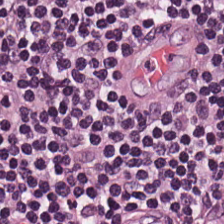H&E-stained tissue section.
The tissue here is lymphocytes.
